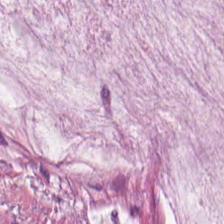H&E-stained tissue section; 0.5 µm/px — Q: What is shown here?
A: Extracellular mucin.
